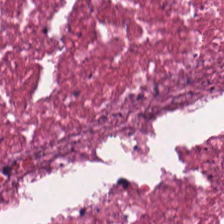H&E.
This field is cellular debris.
